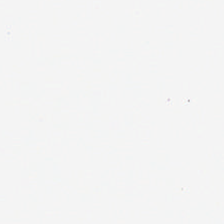H&E.
No tissue.
